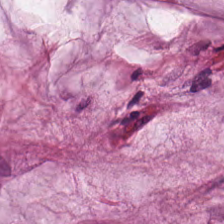Stain: H&E stain.
Tissue: mucus.
